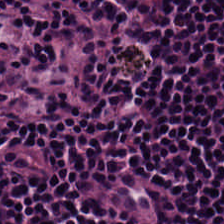224×224 px tile; hematoxylin and eosin. The tissue here is lymphocyte aggregate.
